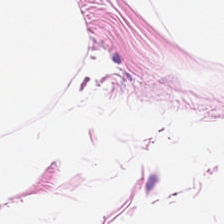H&E; 20× equivalent magnification — The predominant tissue is adipocytes.
